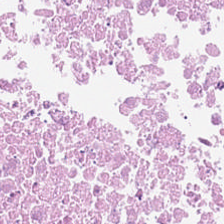224×224 px tile; 0.5 µm/px; H&E — Tissue: cellular debris.
